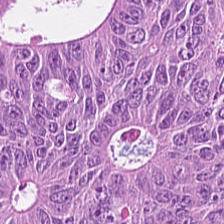H&E stain. 224×224 pixel tile. Showing colorectal adenocarcinoma epithelium.
